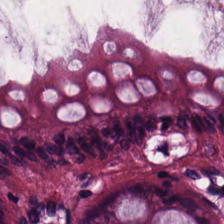H&E.
The tissue here is benign colonic mucosa.
